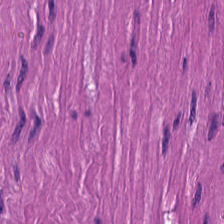Hematoxylin-and-eosin stained section. FFPE tissue section. Showing muscularis.
